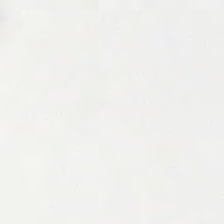The content is empty background.
